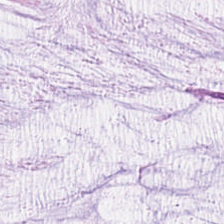Brightfield microscopy · H&E stain · FFPE.
Extracellular mucin.
